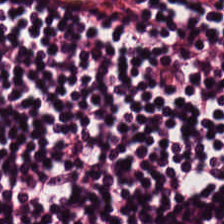H&E-stained tissue section. This patch shows lymphocyte aggregate.
